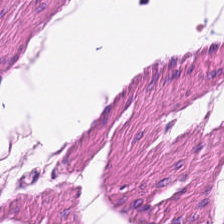Tissue type — smooth muscle.
